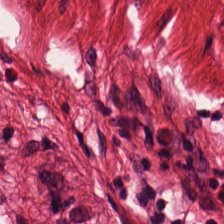FFPE tissue section. Brightfield microscopy. Hematoxylin and eosin.
Q: What is shown here?
A: It is smooth-muscle tissue.
